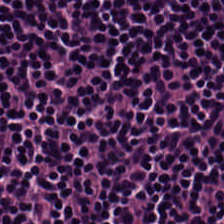H&E · 0.5 microns per pixel. Tissue = lymphocytic infiltrate.
